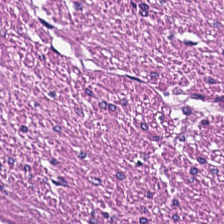Hematoxylin and eosin; 20× equivalent magnification. Finding → smooth muscle.
